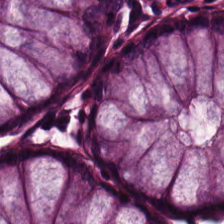Hematoxylin and eosin. Q: What type of tissue is this?
A: Benign colonic mucosa.
